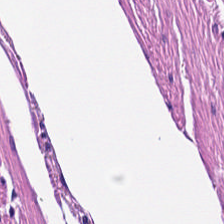224×224 px patch; WSI patch; hematoxylin-and-eosin stained section — Predominant tissue: smooth-muscle tissue.
